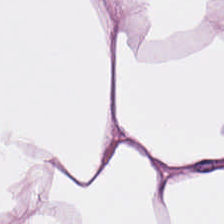224×224 pixel tile. FFPE. H&E-stained tissue section. Showing fat tissue.
